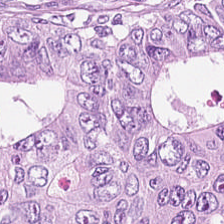Hematoxylin and eosin. Q: What tissue type is shown here?
A: Colorectal adenocarcinoma epithelium.
